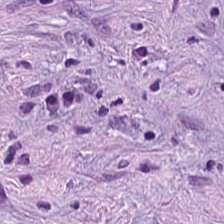H&E stain.
Classification — cancer-associated stroma.
